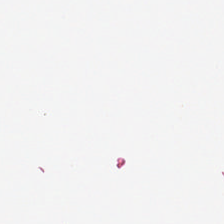Empty field — background.
